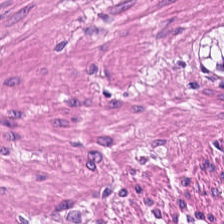Stain: hematoxylin-and-eosin stained section.
Preparation: FFPE tissue section.
Tile size: 224×224 px tile.
Classification: smooth-muscle tissue.
